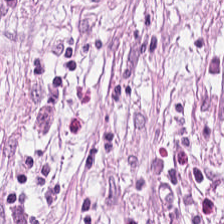Hematoxylin-and-eosin stained section. 0.5 µm/px — Q: What type of tissue is this?
A: Desmoplastic stroma.
